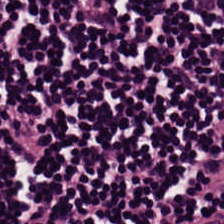Tissue type = lymphoid infiltrate.
